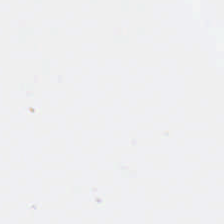FFPE tissue section; brightfield; H&E — Background — no tissue in this field.
